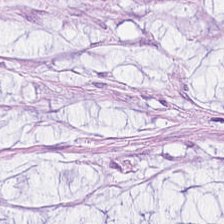Hematoxylin-and-eosin stained section — Mucus.
